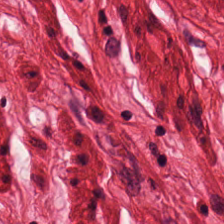H&E-stained tissue section — Histology — smooth muscle.
